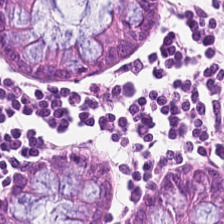Stain: H&E stain.
Acquisition: whole-slide-image patch.
Classification: non-neoplastic colon mucosa.
